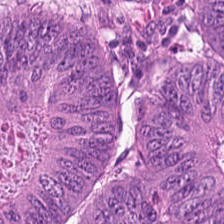FFPE · hematoxylin and eosin. Tissue = adenocarcinoma.
